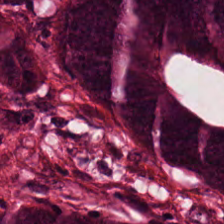FFPE tissue section; WSI patch; H&E-stained tissue section.
The predominant tissue is malignant epithelium.
